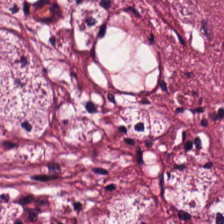Hematoxylin and eosin; 20× equivalent magnification.
Tissue type: tumor-associated stroma.
